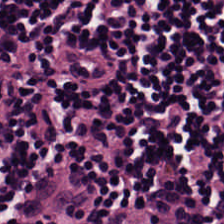H&E stain.
This field is lymphocytic infiltrate.
